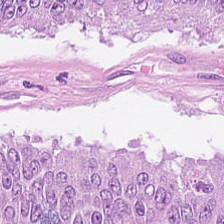224×224 px tile · 20× equivalent magnification · hematoxylin and eosin. The tissue here is adenocarcinoma.
